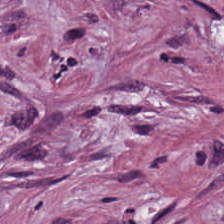H&E stain.
The tissue type is desmoplastic stroma.
